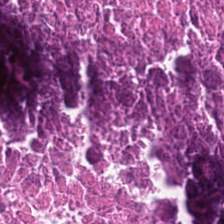This patch shows cellular debris.
